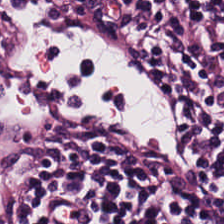Tissue type = lymphoid infiltrate.
